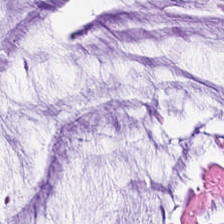Hematoxylin-and-eosin stained section. Q: Classify this patch.
A: The field shows mucin.
